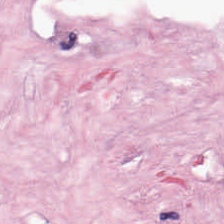Stain: H&E-stained tissue section.
Tile size: 224×224 px patch.
Acquisition: brightfield microscopy.
Tissue class: desmoplastic stroma.
